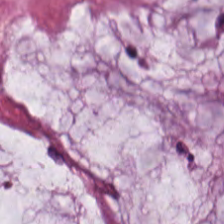Stain: H&E-stained tissue section.
Tissue class: mucus.
